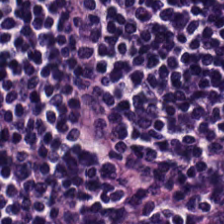H&E-stained tissue section.
This field is lymphocytic infiltrate.
